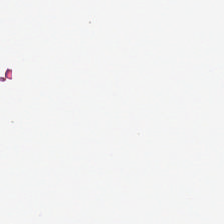0.5 microns per pixel · H&E-stained tissue section — Histology → empty background.
